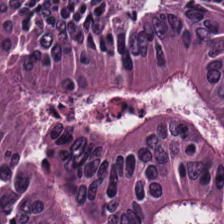H&E — Predominant tissue — malignant epithelium.
